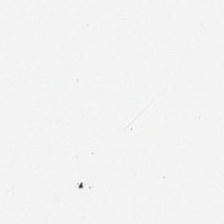Formalin-fixed paraffin-embedded section · H&E stain. No tissue present; background only.
